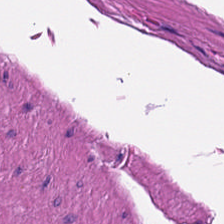Hematoxylin and eosin; FFPE — This field is smooth muscle.
